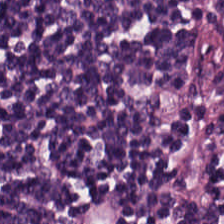FFPE · hematoxylin-and-eosin stained section. The predominant tissue is lymphocytic infiltrate.
